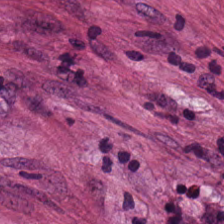H&E stain.
Tumor stroma.
